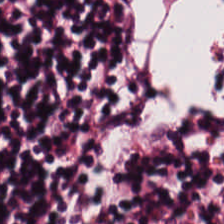Stain: hematoxylin and eosin.
Tissue type: lymphocyte aggregate.
